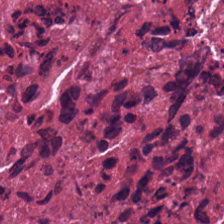{"tissue_type": "cellular debris"}
